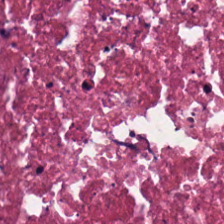224×224 px patch · hematoxylin and eosin — Classification — debris.
